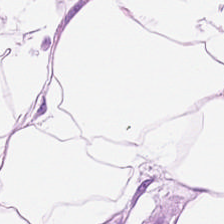H&E stain. The predominant tissue is adipose.
